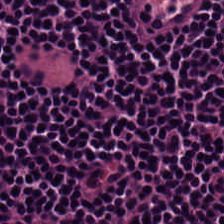FFPE tissue section; H&E stain; brightfield. {"tissue_type": "lymphocytes"}
